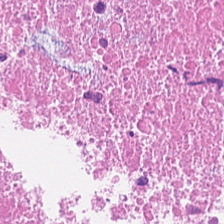FFPE tissue section; H&E.
This field is necrotic debris.
